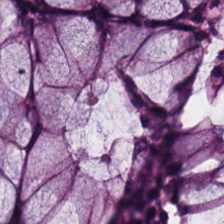Hematoxylin-and-eosin section: benign colonic mucosa.
